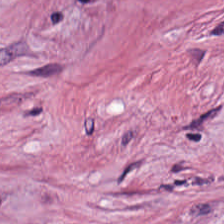224×224 pixel tile. WSI patch. H&E-stained tissue section.
The predominant tissue is cancer-associated stroma.
